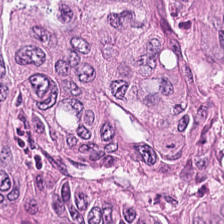20× equivalent magnification · H&E.
{"tissue_type": "tumor epithelium"}
